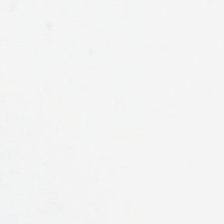H&E-stained tissue section; 0.5 µm per pixel — The field content is background.
